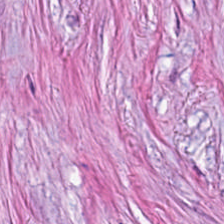H&E-stained tissue section.
Showing tumor-associated stroma.
